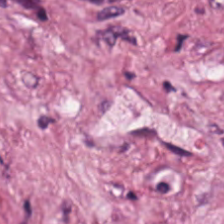This field is cancer-associated stroma.
